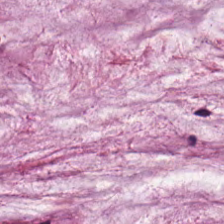Hematoxylin-and-eosin stained section; 0.5 microns per pixel; FFPE — Q: What tissue is shown?
A: It is mucus.
